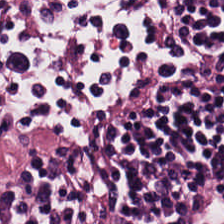H&E — Histology → lymphocytic infiltrate.
